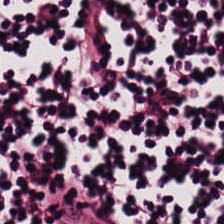H&E-stained tissue section.
Impression — lymphocytic infiltrate.
